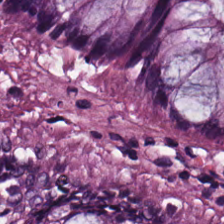{"tissue_type": "normal colonic mucosa"}
